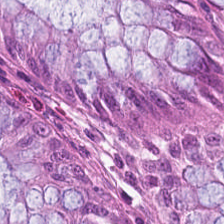H&E-stained tissue section — Showing non-neoplastic colon mucosa.
